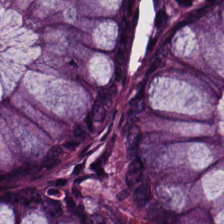Hematoxylin-and-eosin stained section.
Classification = non-neoplastic colon mucosa.
